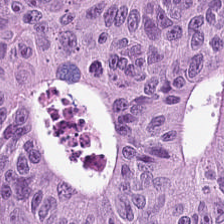H&E — Q: What tissue type is shown here?
A: This is colorectal adenocarcinoma epithelium.
